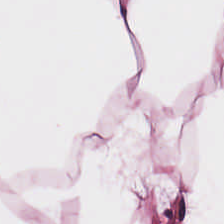Hematoxylin-and-eosin stained section · 0.5 µm/px. Q: What is the predominant tissue type?
A: Fat tissue.
